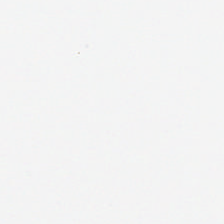H&E; FFPE tissue section.
Impression — background (no tissue).
